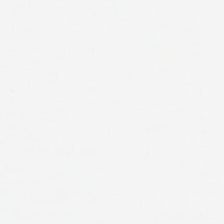Hematoxylin and eosin; 20× equivalent magnification; 224×224 px patch — Field content — empty background.
